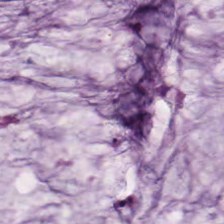Formalin-fixed paraffin-embedded section · hematoxylin and eosin.
Finding → mucin.
